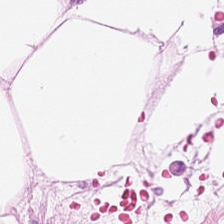H&E-stained tissue section. Q: Identify the tissue.
A: This is adipocytes.
